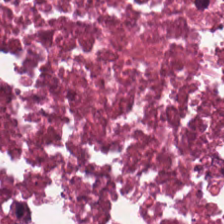Hematoxylin and eosin.
This field is cellular debris.
